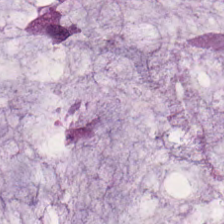H&E-stained tissue section. Q: What type of tissue is this?
A: This is mucus.
